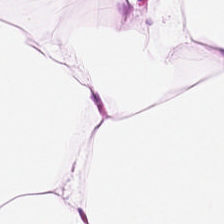H&E-stained tissue section.
This field is fat tissue.
